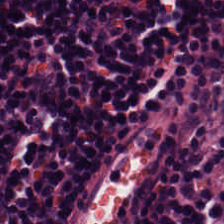Q: What is shown here?
A: Lymphocytic infiltrate.
